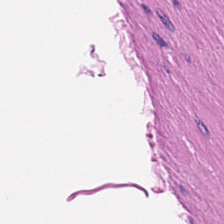H&E stain.
Smooth muscle.
